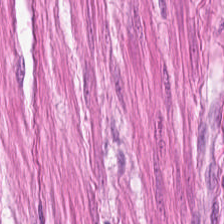0.5 µm per pixel; H&E-stained tissue section — Tissue class — smooth-muscle tissue.
